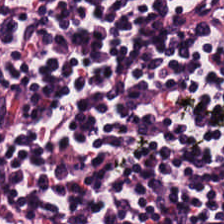Stain: hematoxylin and eosin.
Classification: lymphocytic infiltrate.
